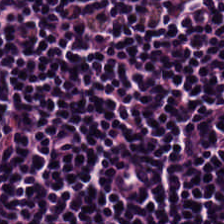H&E-stained tissue section showing lymphocytes.
